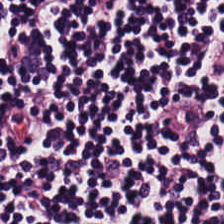Hematoxylin and eosin. Lymphocytes.
